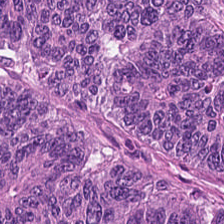Tissue = colorectal adenocarcinoma epithelium.
